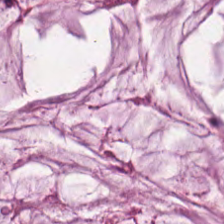Brightfield · 224×224 pixel tile · hematoxylin-and-eosin stained section.
The predominant tissue is mucus.
